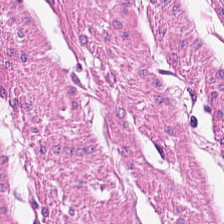Tissue = smooth-muscle tissue.
